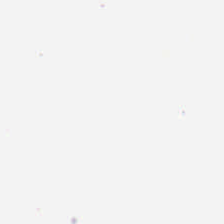Hematoxylin-and-eosin stained section.
{"content": "empty background"}
